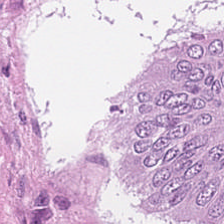FFPE tissue section; H&E-stained tissue section — Tissue type: malignant epithelium.
